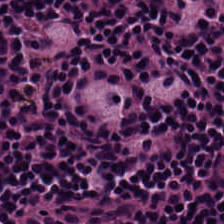Hematoxylin and eosin · whole-slide-image patch · 224×224 px patch. Predominantly lymphocyte aggregate.
